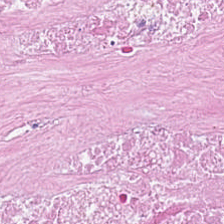0.5 µm/px · H&E-stained tissue section — Debris.
